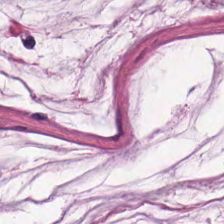Stain: hematoxylin and eosin.
Tissue type: extracellular mucin.
